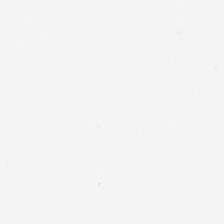This patch shows background.
